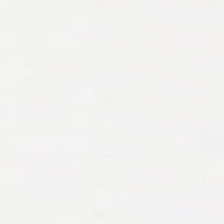H&E-stained tissue section. 224×224 px tile — Empty field — background (no tissue).
